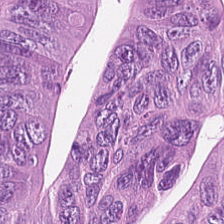H&E-stained tissue section.
This field is colorectal adenocarcinoma epithelium.
